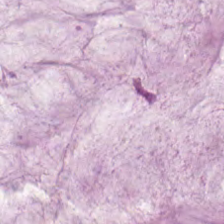Hematoxylin and eosin. 0.5 µm per pixel — This patch shows mucus.
